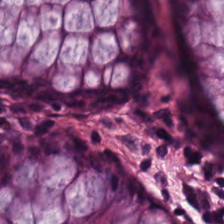Stain: H&E stain.
Tile size: 224×224 px tile.
Preparation: FFPE tissue section.
Tissue class: benign colonic mucosa.
